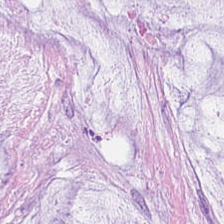FFPE tissue section · H&E.
This field is extracellular mucin.
